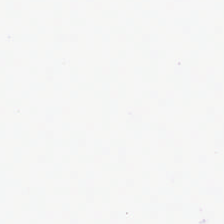Hematoxylin-and-eosin stained section · 20× equivalent magnification — No tissue present; background only.
